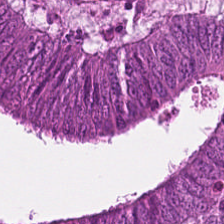Hematoxylin-and-eosin stained section — This patch shows colorectal adenocarcinoma.
